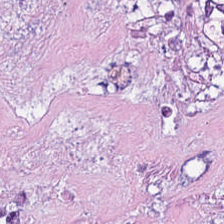The classification is cellular debris.
